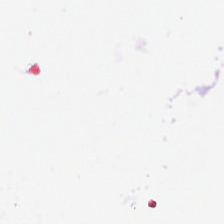H&E-stained tissue section. Empty field — empty background.
